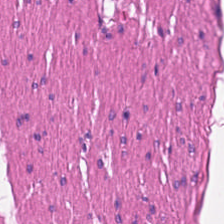Hematoxylin and eosin; WSI patch; 224×224 pixel tile. Tissue — muscularis.
